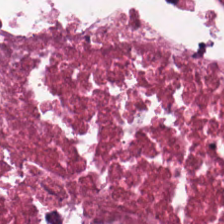Hematoxylin-and-eosin stained section · 224×224 px patch · whole-slide-image patch — Predominantly debris.
